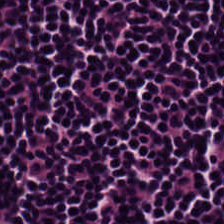Tissue class: lymphoid infiltrate.
